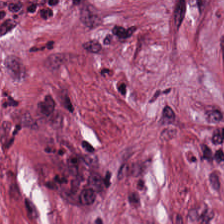H&E patch showing tumor stroma.
